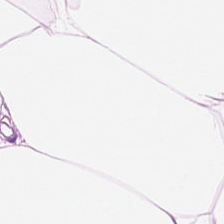H&E stain.
Q: What tissue type is shown here?
A: The field shows adipose tissue.
